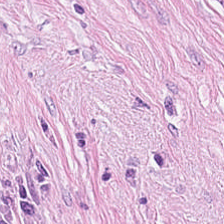Hematoxylin-and-eosin stained section; FFPE — Tissue type = desmoplastic stroma.
